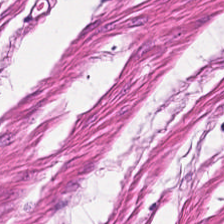H&E stain — Predominantly muscularis.
